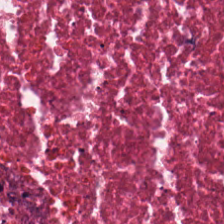Hematoxylin and eosin — Tissue class = debris.
